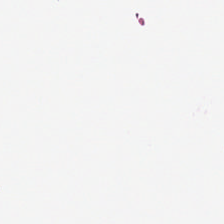Field content — no tissue.
